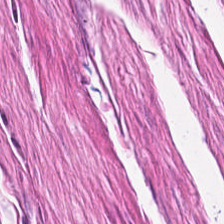20× equivalent magnification · hematoxylin-and-eosin stained section · 224×224 pixel tile. Predominantly smooth-muscle tissue.
